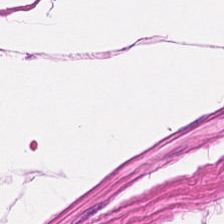H&E stain.
Tissue = muscularis.
